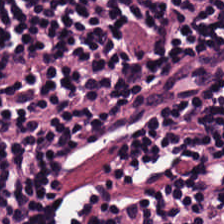H&E-stained tissue section; 224×224 px tile.
Histology → lymphocytes.
